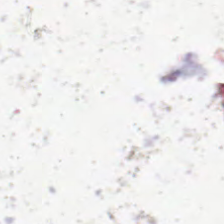0.5 µm/px · H&E stain.
Histology — background.
